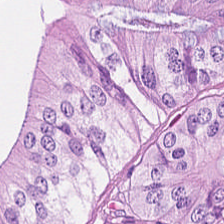H&E — Tissue type: malignant epithelium.
